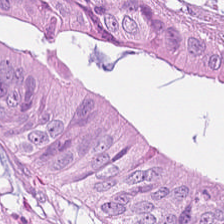H&E; 0.5 microns per pixel.
This patch shows colorectal adenocarcinoma epithelium.
